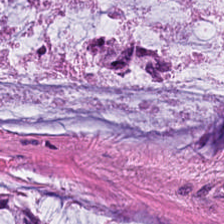Stain: hematoxylin and eosin.
Classification: mucus.
